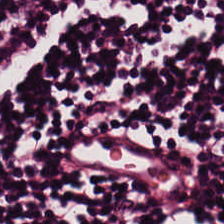H&E stain · 224×224 px patch.
Finding — lymphoid infiltrate.
